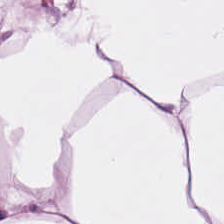H&E stain. {"tissue_type": "adipose tissue"}
